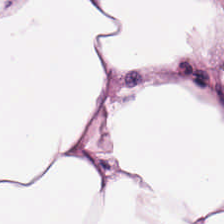H&E. 224×224 px tile. Predominant tissue = adipose tissue.
